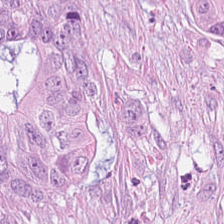H&E. 0.5 µm per pixel. WSI patch — Tissue: colorectal adenocarcinoma.
